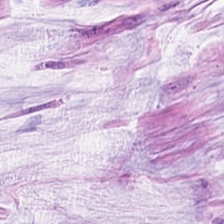{"tissue_type": "extracellular mucin"}
